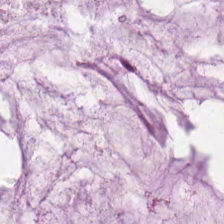Hematoxylin-and-eosin stained section.
Predominantly extracellular mucin.
